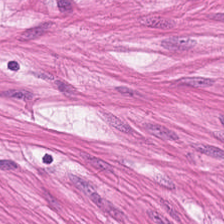Q: What is shown here?
A: This is muscularis.
